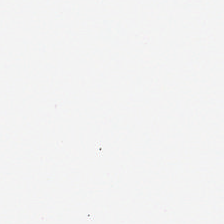Hematoxylin and eosin · formalin-fixed paraffin-embedded section — No tissue present; background only.
